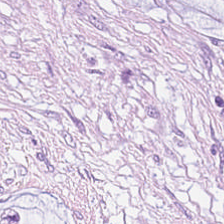H&E-stained tissue section. Q: What tissue is shown?
A: The field shows extracellular mucin.
